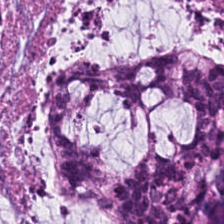H&E-stained tissue section. Predominantly mucus.
